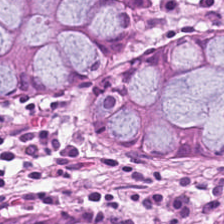Stain: hematoxylin-and-eosin stained section.
Resolution: 20× equivalent magnification.
Tissue class: benign colonic mucosa.
